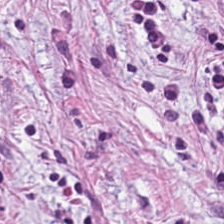H&E-stained tissue section.
This field is desmoplastic stroma.
